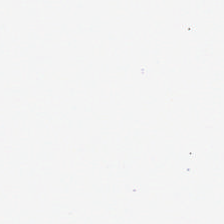Hematoxylin-and-eosin stained section. Q: What is shown here?
A: This is no tissue.
